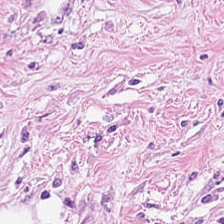20× equivalent magnification · 224×224 px tile · H&E.
Tumor stroma.
